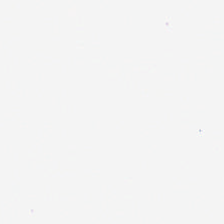Impression — no tissue.
